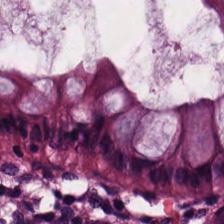The tissue class is benign colonic mucosa.
